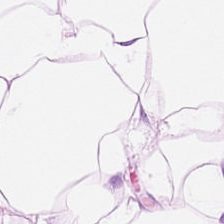H&E · whole-slide-image patch · FFPE — Tissue: fat tissue.
